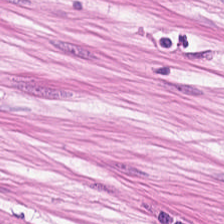H&E · 224×224 pixel tile · whole-slide-image patch.
Q: Identify the tissue.
A: Smooth-muscle tissue.
